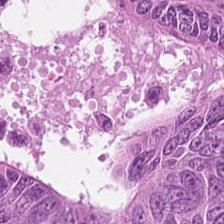H&E-stained tissue section — Predominantly colorectal adenocarcinoma epithelium.
